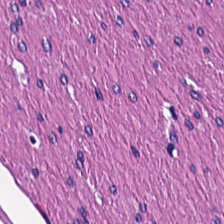Hematoxylin and eosin — The predominant tissue is muscularis.
